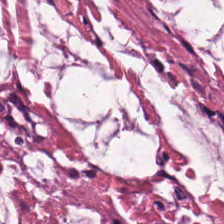This field is extracellular mucin.
